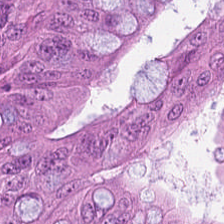H&E patch showing adenocarcinoma.
